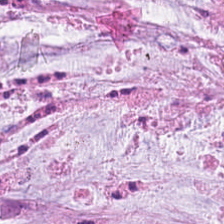WSI patch. Hematoxylin and eosin. 20× equivalent magnification.
Q: What is the predominant tissue type?
A: Mucin.
